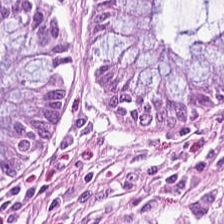Hematoxylin-and-eosin stained section.
The predominant tissue is benign colonic mucosa.
